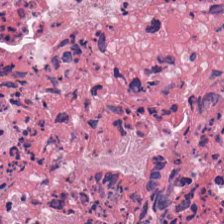Formalin-fixed paraffin-embedded section; H&E.
Predominantly necrotic debris.
